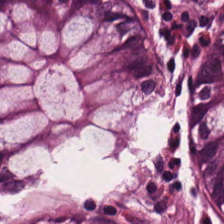H&E stain · 224×224 px tile.
Q: What does this patch show?
A: This is non-neoplastic colon mucosa.
